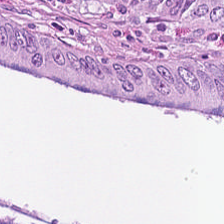Colorectal adenocarcinoma epithelium.
